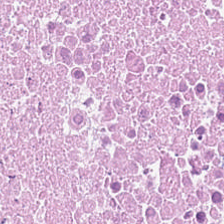Brightfield · H&E stain — Q: What is the predominant tissue type?
A: It is debris.
